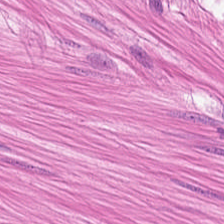Hematoxylin-and-eosin stained section — Q: Identify the tissue.
A: This is smooth-muscle tissue.
